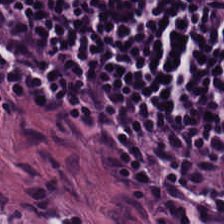{"tissue_type": "lymphocytes"}
